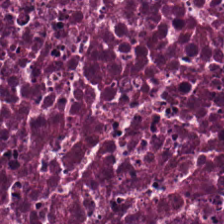Tissue = cellular debris.
